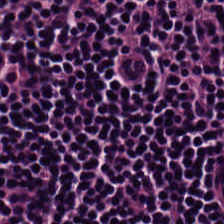H&E-stained tissue section · brightfield microscopy. Tissue type — lymphocytic infiltrate.
